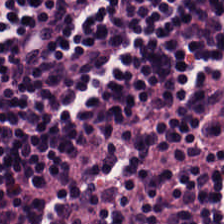224×224 px tile. H&E stain. Brightfield — The tissue here is lymphocyte aggregate.
